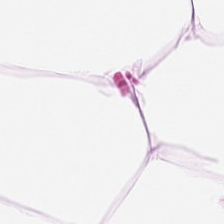H&E-stained tissue section — Q: What tissue type is shown here?
A: Adipose tissue.
